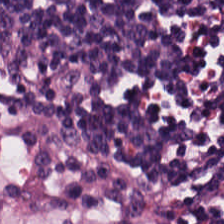Stain: H&E-stained tissue section.
Preparation: FFPE.
Tissue: lymphocyte aggregate.
